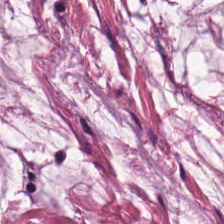The tissue type is mucus.
